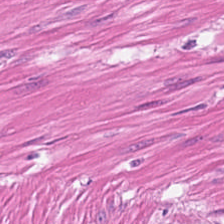Formalin-fixed paraffin-embedded section · H&E stain — Tissue class: smooth muscle.
